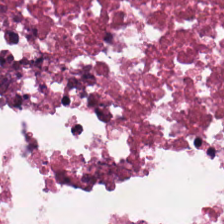Stain: H&E-stained tissue section.
Tile size: 224×224 pixel tile.
Resolution: 0.5 µm/px.
Tissue type: debris.
